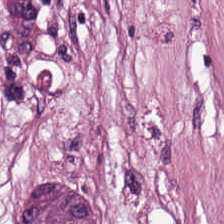0.5 µm/px. H&E — Histology — tumor stroma.
